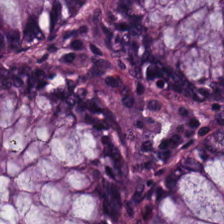Hematoxylin-and-eosin stained section — Q: Classify this patch.
A: The field shows normal colon mucosa.
